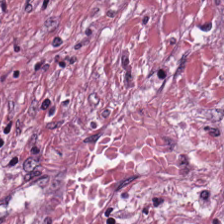FFPE tissue section · H&E. Predominantly desmoplastic stroma.
